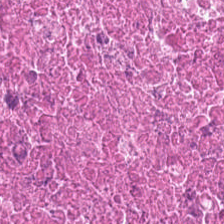Q: What is shown here?
A: The field shows debris.
